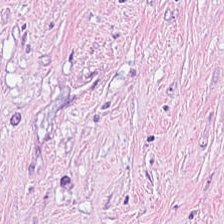0.5 microns per pixel. H&E. Showing desmoplastic stroma.
